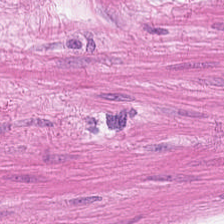Stain: hematoxylin and eosin.
Tile size: 224×224 pixel tile.
Tissue: muscularis.
